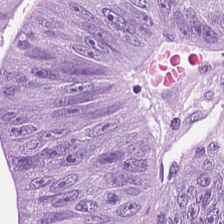20× equivalent magnification · H&E-stained tissue section · FFPE.
Q: What type of tissue is this?
A: The field shows malignant epithelium.
